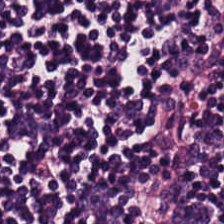0.5 µm/px. FFPE. Hematoxylin-and-eosin stained section.
Impression → lymphoid infiltrate.
